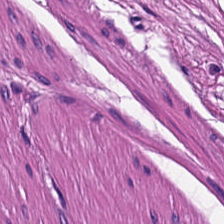H&E · 0.5 µm per pixel.
Classification: smooth muscle.
